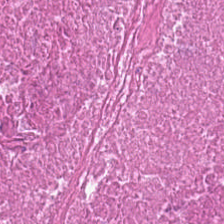H&E-stained tissue section. This field is necrotic debris.
